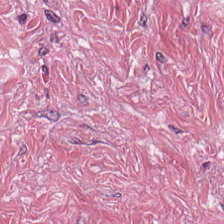Stain: hematoxylin and eosin.
Tile size: 224×224 px patch.
Tissue class: cancer-associated stroma.
